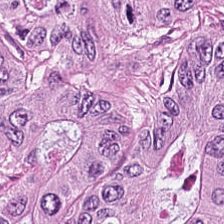0.5 µm/px · H&E stain.
Q: What is the predominant tissue type?
A: This is colorectal adenocarcinoma epithelium.
